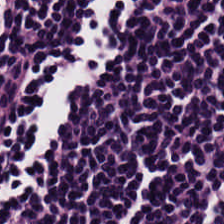Hematoxylin-and-eosin stained section.
Histology → lymphoid infiltrate.
